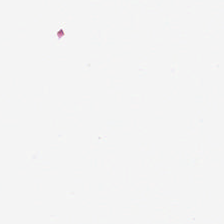H&E stain; formalin-fixed paraffin-embedded section.
Classification: empty background.
